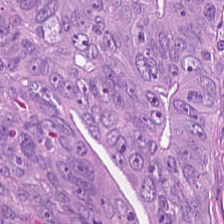Hematoxylin-and-eosin stained section — The tissue here is tumor epithelium.
